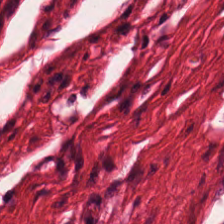Hematoxylin and eosin. Smooth muscle.
